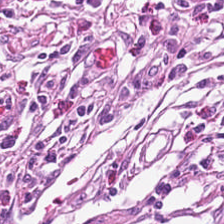Hematoxylin-and-eosin stained section.
Impression — cancer-associated stroma.
